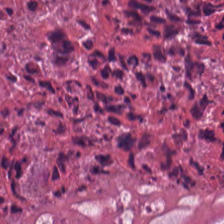H&E stain. {"tissue_type": "cellular debris"}
